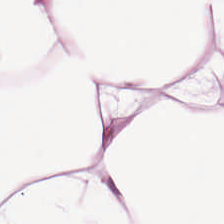Formalin-fixed paraffin-embedded section; H&E; whole-slide-image patch. The tissue class is adipocytes.
